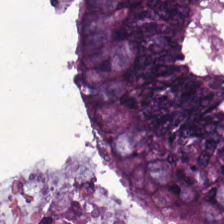H&E stain. Tissue = colorectal adenocarcinoma.
